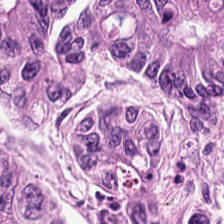20× equivalent magnification; H&E — Showing adenocarcinoma.
